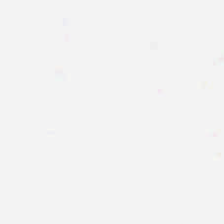Field content = no tissue.
